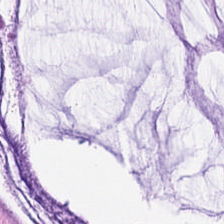WSI patch · H&E-stained tissue section — The tissue class is mucus.
